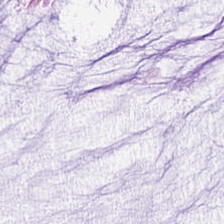{"tissue_type": "mucin"}
